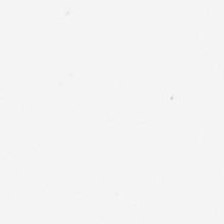Brightfield microscopy. H&E.
Field content: background.
